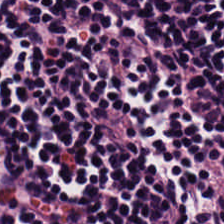Hematoxylin-and-eosin stained section · formalin-fixed paraffin-embedded section.
Showing lymphocyte aggregate.
